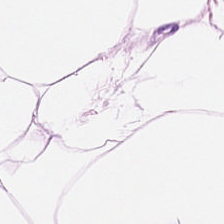H&E stain. 224×224 px tile. This field is adipose tissue.
